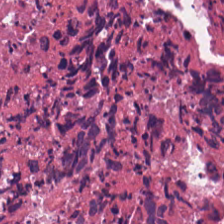Brightfield microscopy; FFPE; hematoxylin and eosin.
Q: What tissue is shown?
A: This is necrotic debris.
